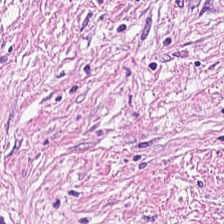Q: What does this patch show?
A: It is cancer-associated stroma.
